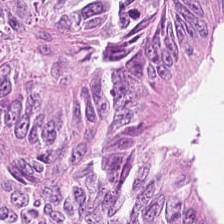Stain: H&E stain.
Tissue: tumor epithelium.
